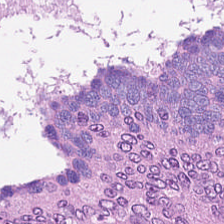Q: Classify this patch.
A: The field shows adenocarcinoma.
